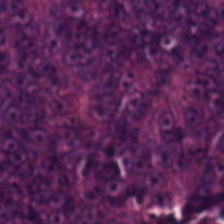Stain: H&E.
Tissue: malignant epithelium.
